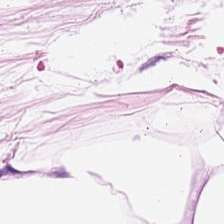Classification = adipose tissue.
